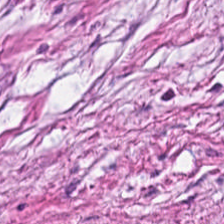224×224 px tile; H&E-stained tissue section. Q: Identify the tissue.
A: The field shows tumor-associated stroma.
